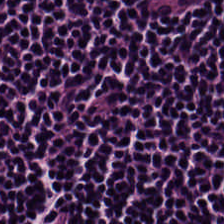Stain: H&E.
Acquisition: whole-slide-image patch.
Predominant tissue: lymphocyte aggregate.
